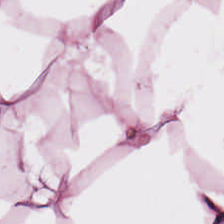H&E-stained tissue section — Q: What type of tissue is this?
A: Adipose tissue.
